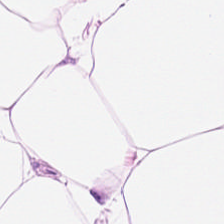0.5 µm per pixel; whole-slide-image patch; hematoxylin and eosin — Tissue = adipose tissue.
